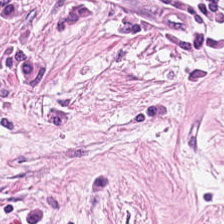FFPE tissue section · H&E — The predominant tissue is tumor-associated stroma.
